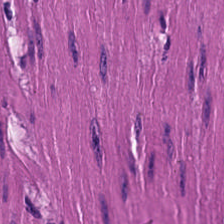224×224 px tile · H&E. Q: What is the predominant tissue type?
A: Muscularis.
